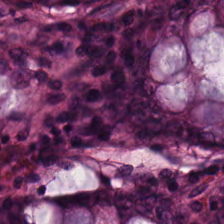224×224 px patch; H&E.
This field is non-neoplastic colon mucosa.
